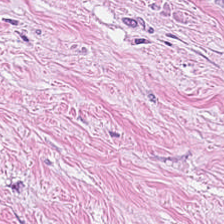H&E-stained tissue section — Q: What tissue type is shown here?
A: The field shows tumor stroma.
